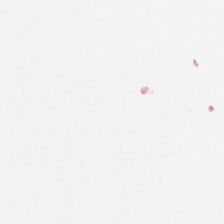H&E-stained tissue section.
The content is no tissue.
